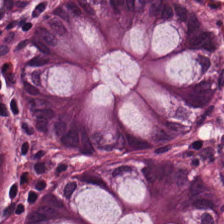Brightfield microscopy. Hematoxylin-and-eosin stained section. Formalin-fixed paraffin-embedded section — The predominant tissue is normal colon mucosa.
